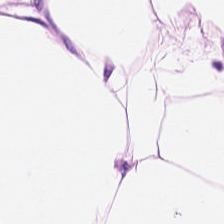H&E stain — The tissue class is adipocytes.
